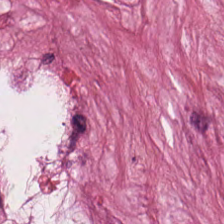FFPE tissue section; brightfield; H&E — The tissue type is tumor-associated stroma.
